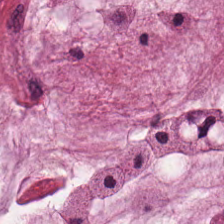H&E-stained tissue section; 20× equivalent magnification; brightfield microscopy.
The tissue type is extracellular mucin.
